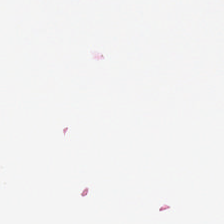Hematoxylin and eosin.
Field content: empty background.
